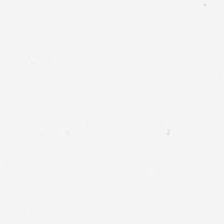Stain: H&E.
Field content: no tissue.
